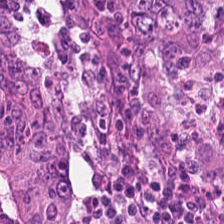H&E. Tissue = colorectal adenocarcinoma.
